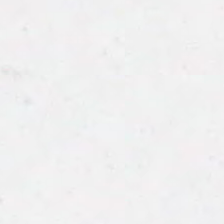Hematoxylin and eosin. Whole-slide-image patch. 224×224 pixel tile.
Q: What is shown here?
A: No tissue.
